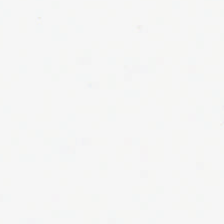Q: What does this patch show?
A: Empty background.
